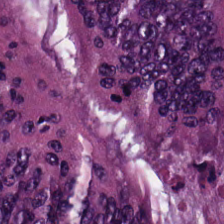H&E stain — Q: What does this patch show?
A: This is adenocarcinoma.
